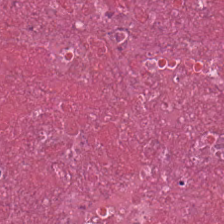H&E — cellular debris.
